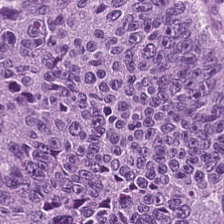Predominantly malignant epithelium.
